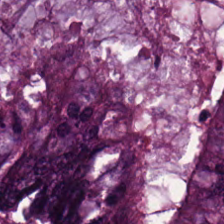Stain: H&E stain.
Tissue class: colorectal adenocarcinoma.
